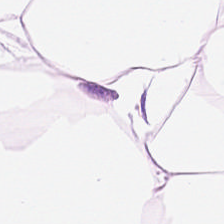Showing fat tissue.
